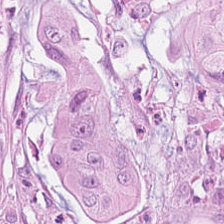20× equivalent magnification; hematoxylin and eosin.
Tissue type: adenocarcinoma.
